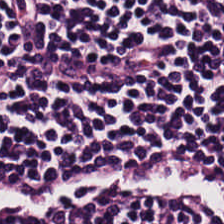Hematoxylin and eosin.
{"tissue_type": "lymphoid infiltrate"}
